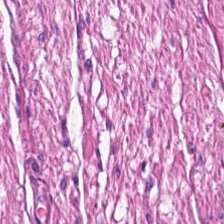Impression → smooth muscle.
